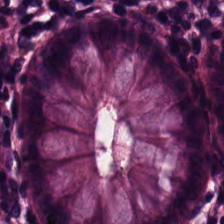Q: What is the predominant tissue type?
A: It is normal colonic mucosa.
